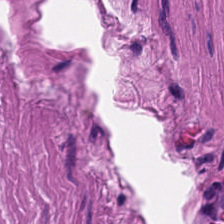0.5 µm per pixel. H&E-stained tissue section. This patch shows smooth muscle.
